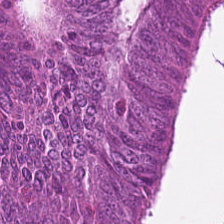This field is adenocarcinoma.
